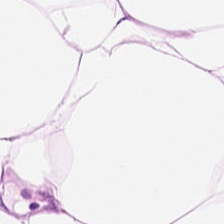Hematoxylin and eosin. Predominant tissue: adipose.
